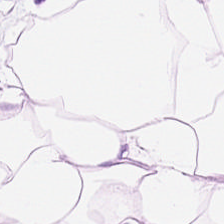20× equivalent magnification. Hematoxylin-and-eosin stained section. Predominant tissue = fat tissue.
